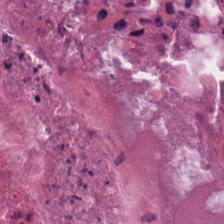H&E — cellular debris.
